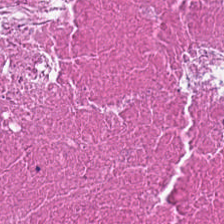Tissue type: necrotic debris.
